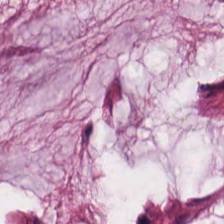H&E stain.
This patch shows extracellular mucin.
